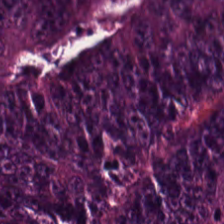Hematoxylin-and-eosin section: tumor epithelium.
